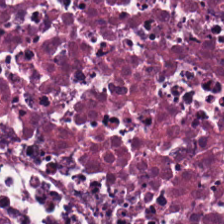Hematoxylin and eosin — Showing cellular debris.
